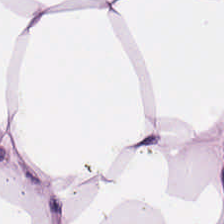0.5 microns per pixel · hematoxylin and eosin.
The tissue here is adipocytes.
